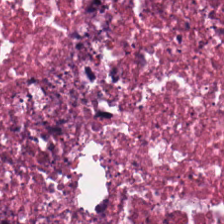H&E — Tissue class: necrotic debris.
